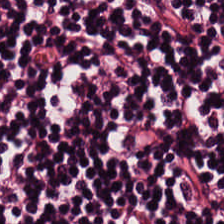H&E-stained tissue section.
Tissue class: lymphoid infiltrate.
